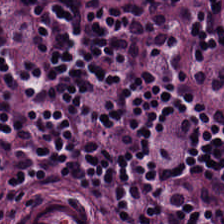Hematoxylin and eosin. Q: What type of tissue is this?
A: The field shows lymphocyte aggregate.
